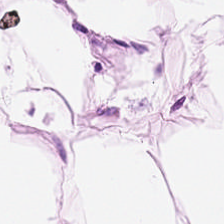Brightfield; H&E. This patch shows adipose tissue.
